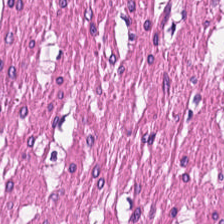FFPE; H&E stain; whole-slide-image patch — This patch shows muscularis.
